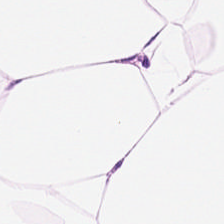FFPE tissue section; H&E stain; 0.5 microns per pixel. Q: What does this patch show?
A: This is fat tissue.
